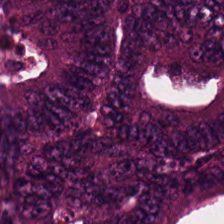H&E — Tissue type = adenocarcinoma.
